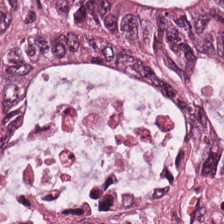Hematoxylin and eosin. {"tissue_type": "colorectal adenocarcinoma epithelium"}
